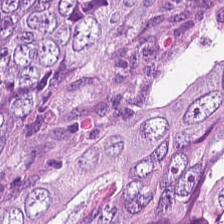The tissue is malignant epithelium.
